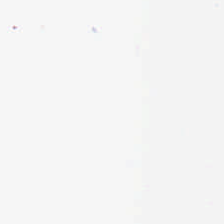Hematoxylin-and-eosin stained section.
{"content": "background"}
